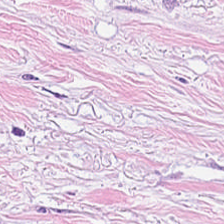This patch shows tumor-associated stroma.
